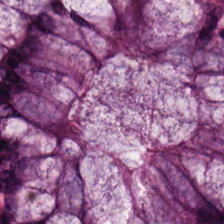H&E stain.
Classification: normal colonic mucosa.
